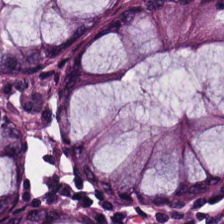Hematoxylin-and-eosin stained section.
{"tissue_type": "normal colon mucosa"}
